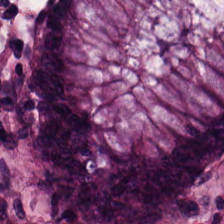Stain: hematoxylin-and-eosin stained section.
Classification: benign colonic mucosa.
